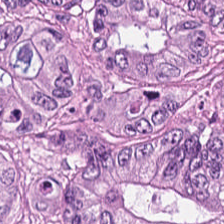Stain: H&E stain.
Classification: colorectal adenocarcinoma.
